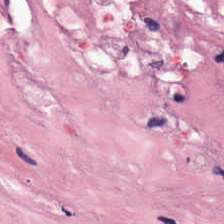Hematoxylin-and-eosin section: desmoplastic stroma.
